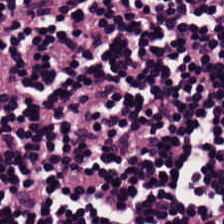H&E — lymphocyte aggregate.
